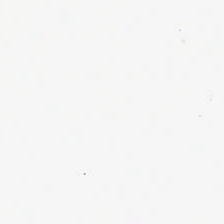Content: no tissue.
